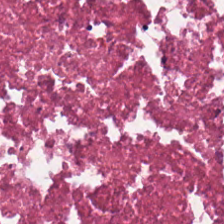H&E.
Tissue — debris.
